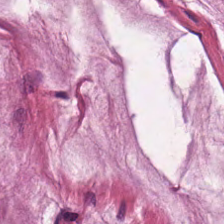{"tissue_type": "mucus"}
